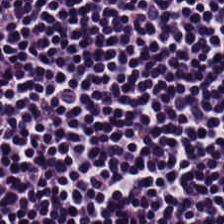Hematoxylin-and-eosin stained section. Classification — lymphoid infiltrate.
